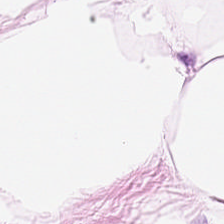H&E stain; 0.5 µm/px. Impression — fat tissue.
